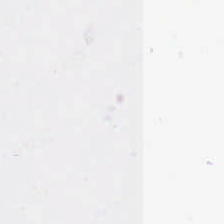Field content = no tissue.
